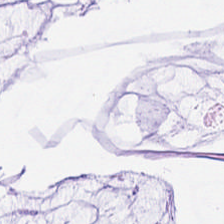224×224 px tile · hematoxylin-and-eosin stained section.
Q: What type of tissue is this?
A: Mucus.
